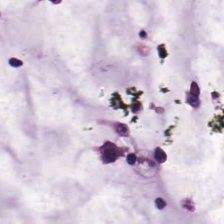224×224 px patch. H&E stain. This patch shows mucin.
